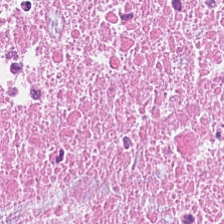Stain: H&E.
Tile size: 224×224 pixel tile.
Acquisition: WSI patch.
Predominant tissue: necrotic debris.
